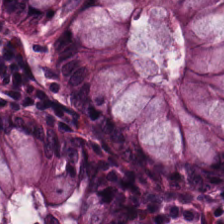Whole-slide-image patch; 224×224 pixel tile; hematoxylin and eosin.
This field is non-neoplastic colon mucosa.
